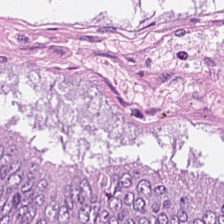Stain: H&E stain.
Predominant tissue: tumor epithelium.
